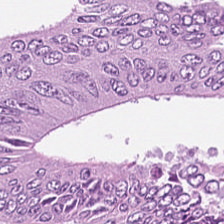Tissue class: colorectal adenocarcinoma.
